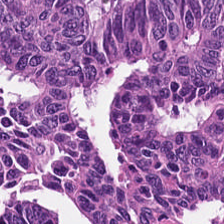20× equivalent magnification; H&E; 224×224 px patch — Tissue type — adenocarcinoma.
